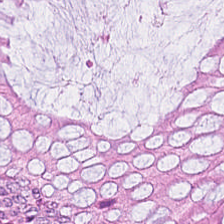Hematoxylin and eosin · 0.5 microns per pixel.
Showing non-neoplastic colon mucosa.
